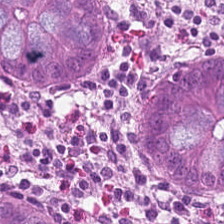Hematoxylin-and-eosin stained section. Brightfield microscopy — This field is benign colonic mucosa.
